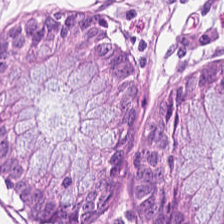Showing normal colonic mucosa.
